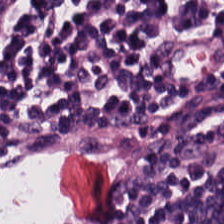Hematoxylin-and-eosin stained section. {"tissue_type": "lymphoid infiltrate"}
